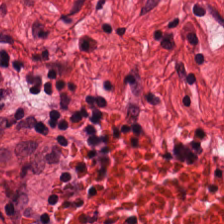H&E stain. Showing smooth-muscle tissue.
